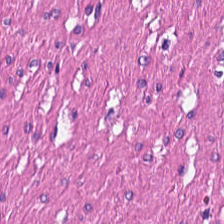H&E — Showing smooth muscle.
